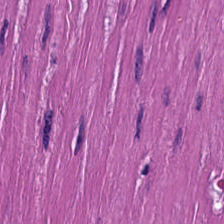Hematoxylin-and-eosin stained section. Q: What tissue is shown?
A: This is smooth-muscle tissue.
